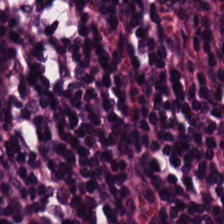Hematoxylin and eosin · whole-slide-image patch. The predominant tissue is lymphoid infiltrate.
